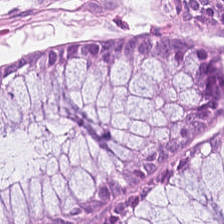Stain: hematoxylin and eosin.
Acquisition: brightfield microscopy.
Tissue: normal colon mucosa.
